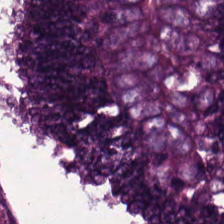224×224 px tile · hematoxylin-and-eosin stained section · 0.5 µm/px — Q: What tissue is shown?
A: It is colorectal adenocarcinoma.
